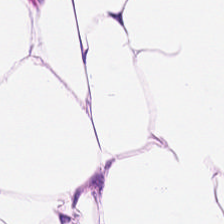H&E-stained tissue section; 0.5 µm per pixel.
This patch shows adipocytes.
